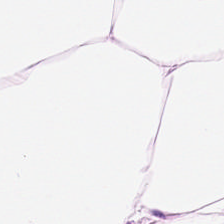H&E-stained tissue section. Fat tissue.
